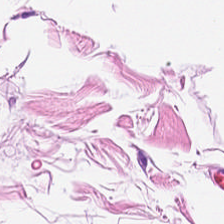0.5 µm/px; H&E stain — Tissue: adipocytes.
